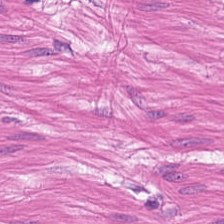Hematoxylin and eosin; FFPE tissue section; whole-slide-image patch — Impression → smooth muscle.
